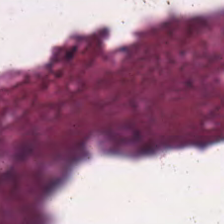H&E; brightfield; 224×224 px patch — Q: What is the predominant tissue type?
A: It is necrotic debris.
